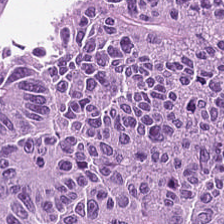Hematoxylin and eosin.
Showing colorectal adenocarcinoma epithelium.
